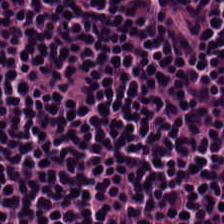224×224 pixel tile · H&E stain · 20× equivalent magnification — Q: Identify the tissue.
A: It is lymphocyte aggregate.
